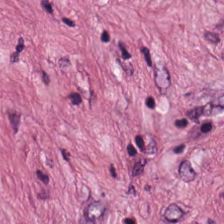224×224 px tile; H&E.
Q: What tissue is shown?
A: This is tumor-associated stroma.
